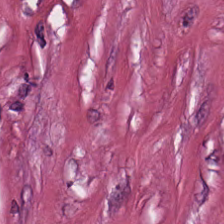Hematoxylin-and-eosin stained section — Q: What does this patch show?
A: The field shows desmoplastic stroma.
